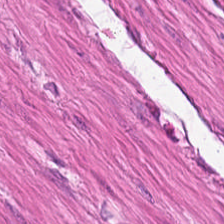H&E-stained section; the field shows smooth-muscle tissue.
